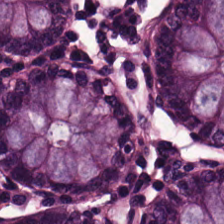Histology → normal colon mucosa.
